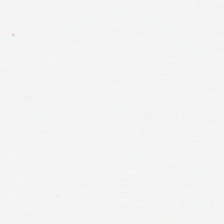Hematoxylin and eosin — {"content": "background (no tissue)"}
